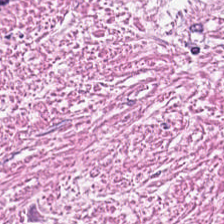Predominant tissue = tumor stroma.
